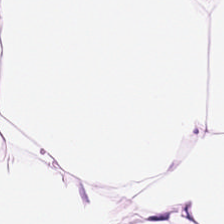0.5 µm per pixel · H&E. The tissue is adipose.
